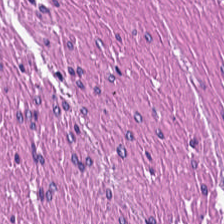Histology → muscularis.
